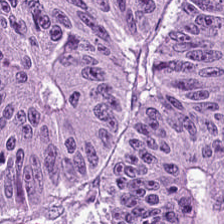Hematoxylin-and-eosin stained section — Showing malignant epithelium.
